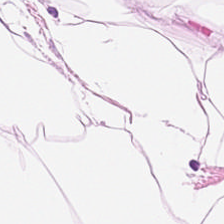Stain: H&E.
Tissue: adipose tissue.
